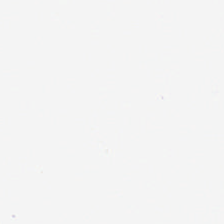WSI patch · hematoxylin and eosin. The classification is no tissue.
